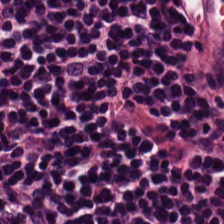Stain: H&E-stained tissue section.
Tissue class: lymphoid infiltrate.
